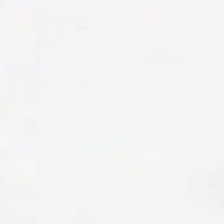WSI patch; 224×224 pixel tile; H&E-stained tissue section — Background — no tissue in this field.
